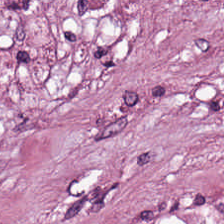0.5 microns per pixel. H&E.
Histology — cancer-associated stroma.
